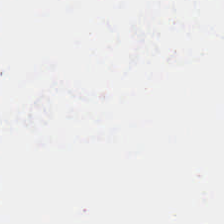Hematoxylin and eosin · FFPE tissue section.
This patch shows background.
